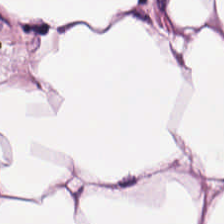Impression → adipose tissue.
